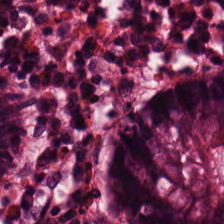224×224 pixel tile; whole-slide-image patch; H&E.
Tissue type: non-neoplastic colon mucosa.
